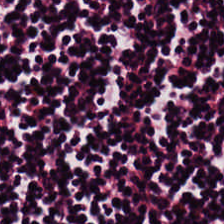H&E stain — {"tissue_type": "lymphocytes"}
